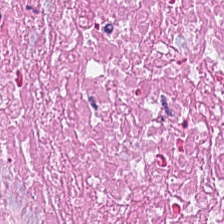FFPE tissue section; hematoxylin-and-eosin stained section. {"tissue_type": "necrotic debris"}
